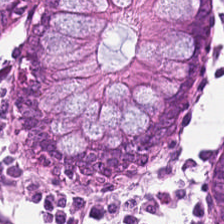0.5 µm/px. H&E. WSI patch.
Q: Classify this patch.
A: Normal colonic mucosa.
